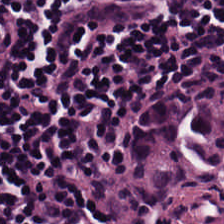Lymphocytes.
